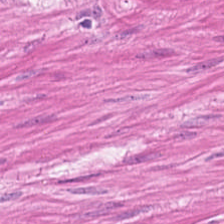H&E.
The predominant tissue is muscularis.
